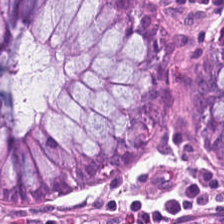0.5 microns per pixel · hematoxylin and eosin.
Predominant tissue: normal colon mucosa.
